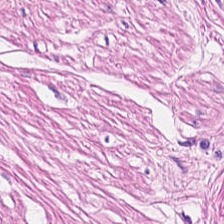H&E-stained tissue section. Impression — smooth-muscle tissue.
